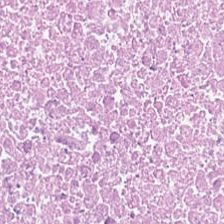Hematoxylin and eosin. Q: Classify this patch.
A: This is cellular debris.
